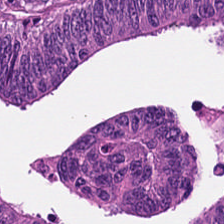0.5 microns per pixel; H&E-stained tissue section.
Tissue type — malignant epithelium.
